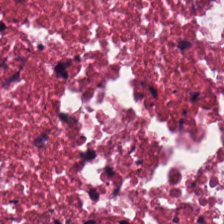H&E-stained tissue section — {"tissue_type": "cellular debris"}
